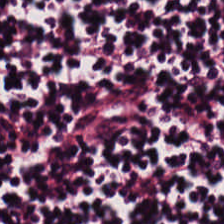H&E stain. 20× equivalent magnification. Showing lymphocytic infiltrate.
